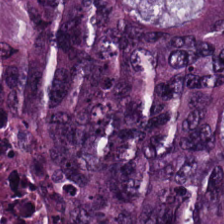Stain: H&E.
Preparation: formalin-fixed paraffin-embedded section.
Resolution: 0.5 µm/px.
Classification: colorectal adenocarcinoma.
